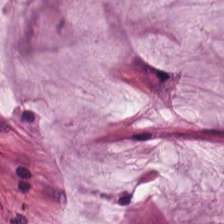224×224 pixel tile · hematoxylin and eosin · whole-slide-image patch. This patch shows mucus.
